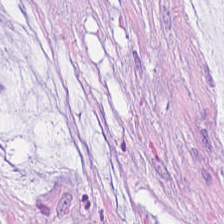H&E — The tissue here is extracellular mucin.
